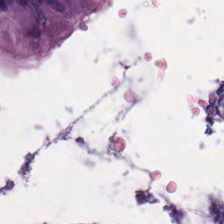{"tissue_type": "non-neoplastic colon mucosa"}
